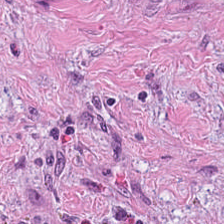Classification — cancer-associated stroma.
